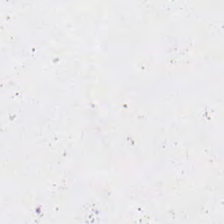Classification — no tissue.
